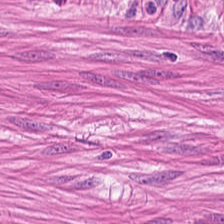Hematoxylin and eosin · brightfield microscopy — Q: What is shown in this field?
A: It is muscularis.
